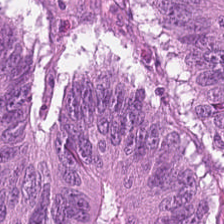Malignant epithelium.
